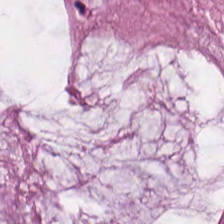H&E-stained tissue section. {"tissue_type": "mucin"}
